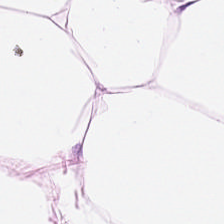Stain: hematoxylin-and-eosin stained section.
Classification: adipose tissue.
